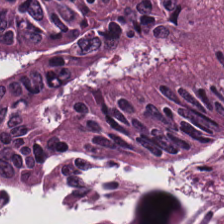H&E stain.
Predominant tissue = tumor epithelium.
